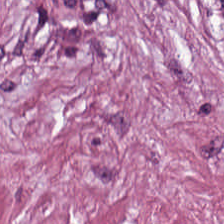Hematoxylin and eosin — Tissue class = cancer-associated stroma.
